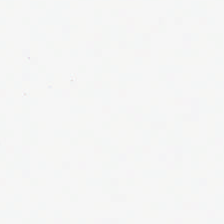H&E stain — The content is empty background.
